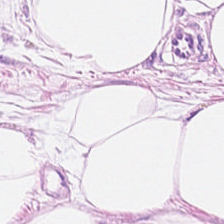224×224 px patch; FFPE; H&E stain. Finding → adipocytes.
